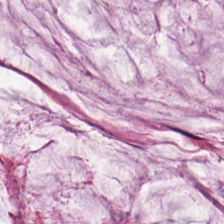H&E stain.
Q: What is shown in this field?
A: This is extracellular mucin.
